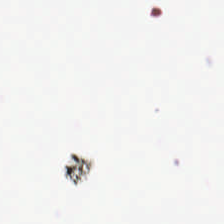Hematoxylin and eosin — Finding — empty background.
